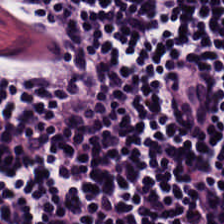224×224 px patch. Brightfield microscopy. Hematoxylin-and-eosin stained section. Classification — lymphocytic infiltrate.
